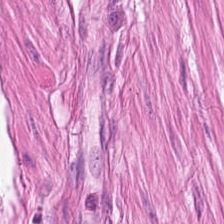Brightfield microscopy · hematoxylin-and-eosin stained section — Showing smooth-muscle tissue.
